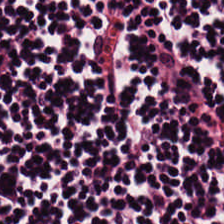The tissue is lymphocyte aggregate.
